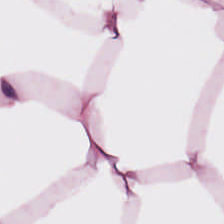H&E-stained tissue section · WSI patch · 0.5 microns per pixel.
Impression → fat tissue.
